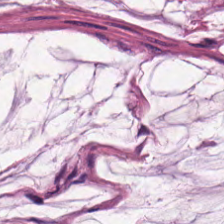Hematoxylin and eosin.
Q: What is shown in this field?
A: The field shows extracellular mucin.
